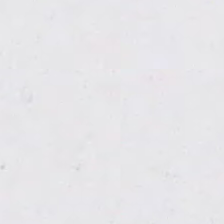224×224 pixel tile · H&E stain. Empty field — background (no tissue).
